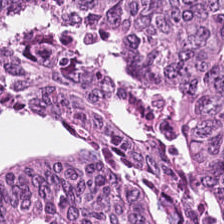Hematoxylin and eosin.
Histology — colorectal adenocarcinoma.
